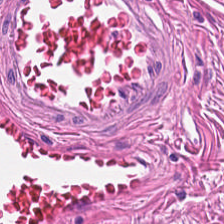Hematoxylin and eosin.
Q: What tissue type is shown here?
A: This is smooth-muscle tissue.
